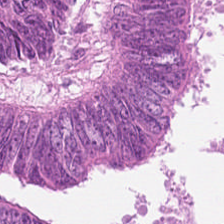Hematoxylin and eosin; formalin-fixed paraffin-embedded section; 224×224 px patch. This patch shows tumor epithelium.
